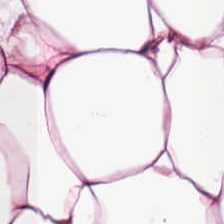H&E-stained tissue section.
Tissue type = adipose tissue.
